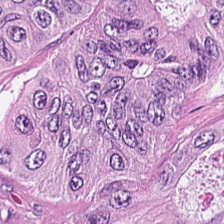FFPE; H&E. Predominant tissue — tumor epithelium.
